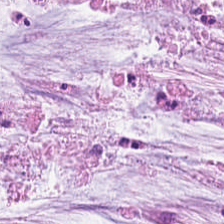Hematoxylin and eosin. FFPE. Finding — extracellular mucin.
